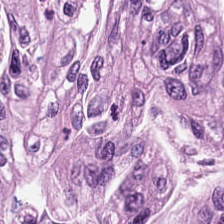Stain: hematoxylin-and-eosin stained section.
Predominant tissue: malignant epithelium.
